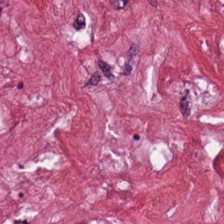H&E — Tissue type = tumor-associated stroma.
